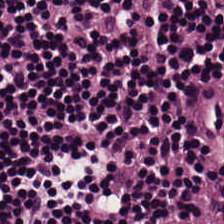Hematoxylin-and-eosin stained section — Finding → lymphocytes.
